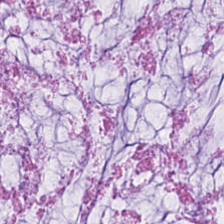0.5 microns per pixel; H&E-stained tissue section. This patch shows extracellular mucin.
